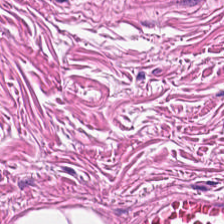Q: Classify this patch.
A: Smooth-muscle tissue.
